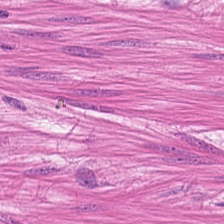Q: What tissue is shown?
A: This is smooth muscle.
